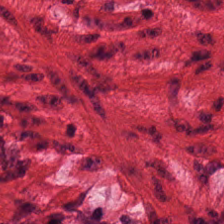Stain: hematoxylin and eosin.
Tissue type: muscularis.
